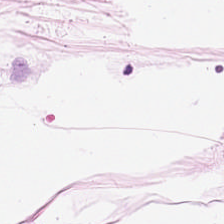{"tissue_type": "fat tissue"}
